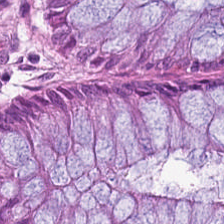Hematoxylin and eosin — Finding → normal colonic mucosa.
